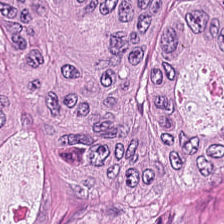H&E stain.
This field is adenocarcinoma.
